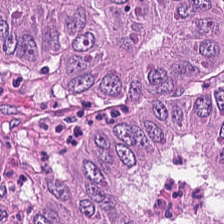Stain: H&E.
Classification: colorectal adenocarcinoma.
